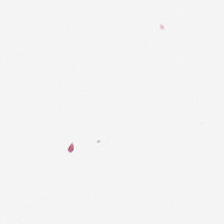H&E-stained tissue section. Impression — background.
